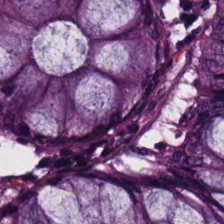H&E. Predominantly normal colonic mucosa.
